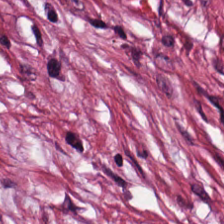H&E-stained tissue section; formalin-fixed paraffin-embedded section.
Impression — cancer-associated stroma.
